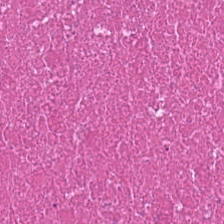Hematoxylin and eosin — Finding → cellular debris.
